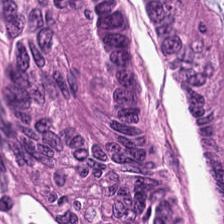Formalin-fixed paraffin-embedded section; H&E stain; 224×224 px tile — Impression → colorectal adenocarcinoma epithelium.
